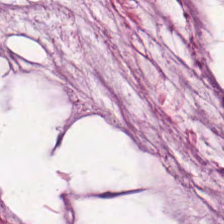Hematoxylin-and-eosin stained section. This patch shows mucus.
